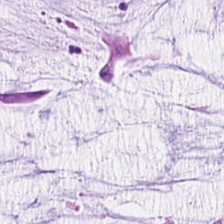H&E.
{"tissue_type": "extracellular mucin"}
